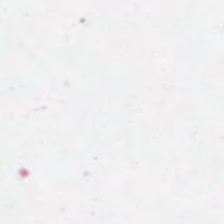H&E stain.
This field is background (no tissue).
